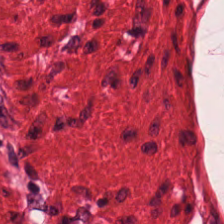Hematoxylin-and-eosin stained section. Classification: muscularis.
